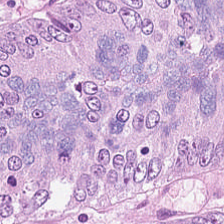Q: What is the predominant tissue type?
A: This is malignant epithelium.
